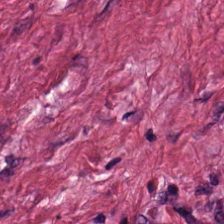Stain: H&E-stained tissue section.
Tissue: desmoplastic stroma.
